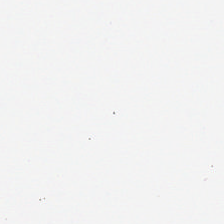Empty field — empty background.
